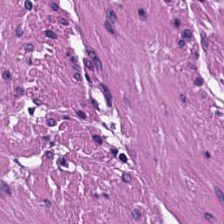H&E — Histology — smooth-muscle tissue.
